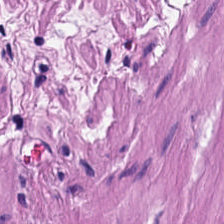Predominant tissue: smooth-muscle tissue.
